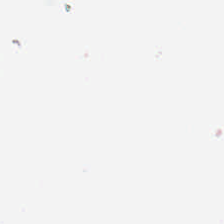H&E-stained tissue section.
Classification = background.
